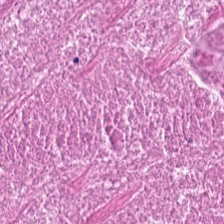H&E-stained tissue section.
Necrotic debris.
